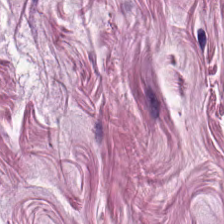FFPE · hematoxylin and eosin · 224×224 px patch. Showing smooth-muscle tissue.
